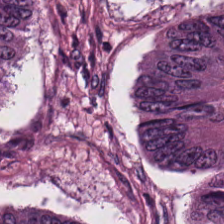Q: Identify the tissue.
A: Adenocarcinoma.
